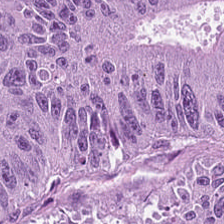Hematoxylin and eosin.
This field is colorectal adenocarcinoma.
